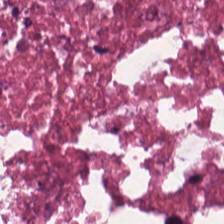The tissue is debris.
